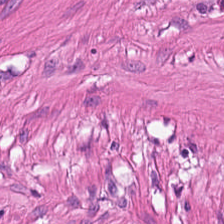Stain: H&E.
Predominant tissue: smooth muscle.
